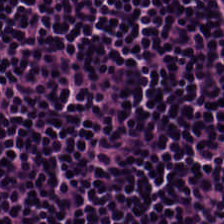Hematoxylin and eosin. Tissue — lymphocytes.
